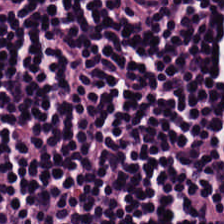Stain: hematoxylin-and-eosin stained section.
Acquisition: brightfield.
Tile size: 224×224 px tile.
Tissue: lymphocyte aggregate.
